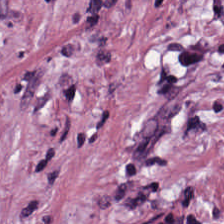Q: What tissue type is shown here?
A: This is desmoplastic stroma.
